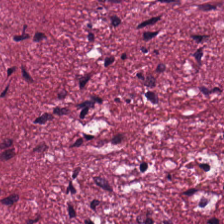224×224 px patch; hematoxylin and eosin. Classification: desmoplastic stroma.
